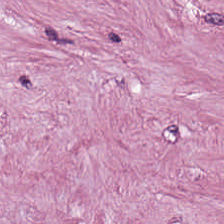Predominant tissue: desmoplastic stroma.
